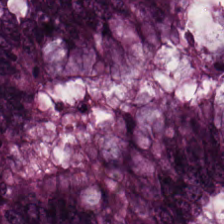Whole-slide-image patch · hematoxylin and eosin.
Q: What is the predominant tissue type?
A: The field shows benign colonic mucosa.
